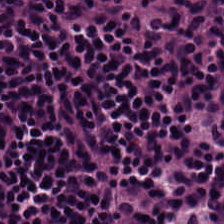Hematoxylin and eosin.
This field is lymphocytes.
